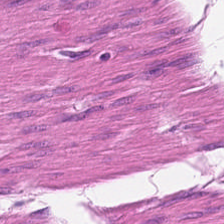Stain: H&E.
Acquisition: whole-slide-image patch.
Tissue: smooth muscle.
